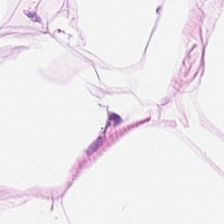H&E-stained tissue section.
Showing adipose.
